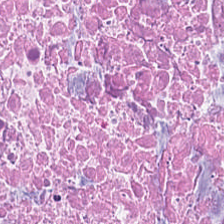20× equivalent magnification · H&E stain. Classification: necrotic debris.
